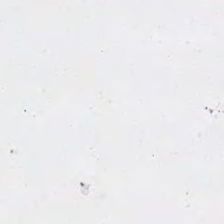Brightfield. 224×224 px tile. Hematoxylin and eosin — Field content = background (no tissue).
